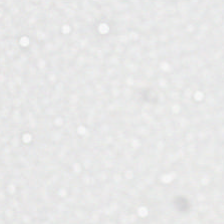H&E stain. The content is empty background.
